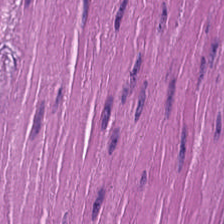Stain: H&E stain.
Tissue class: smooth-muscle tissue.
